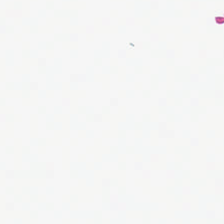Hematoxylin-and-eosin stained section · WSI patch — The field content is empty background.
